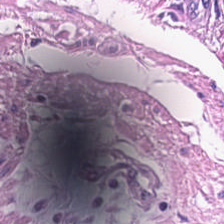FFPE tissue section · hematoxylin-and-eosin stained section — Finding — smooth-muscle tissue.
